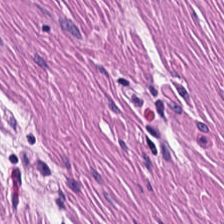The classification is muscularis.
